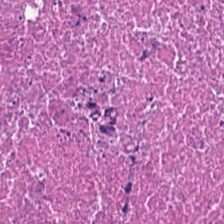Formalin-fixed paraffin-embedded section · H&E stain. {"tissue_type": "cellular debris"}
